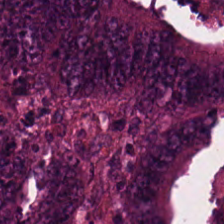FFPE tissue section; H&E; brightfield microscopy — Tissue type — malignant epithelium.
